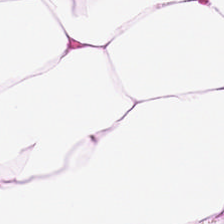H&E-stained tissue section showing adipose.
